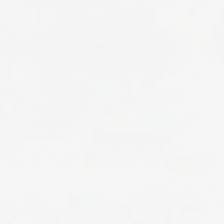Stain: H&E-stained tissue section.
Field content: empty background.
